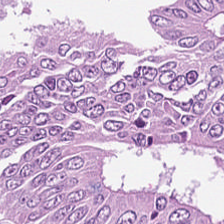H&E stain; FFPE tissue section — This patch shows adenocarcinoma.
